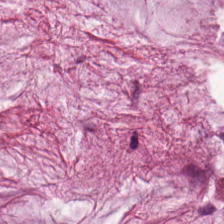Hematoxylin-and-eosin stained section — Predominantly mucin.
